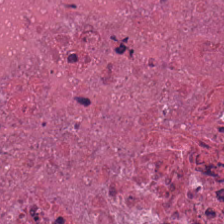H&E-stained tissue section showing cellular debris.
